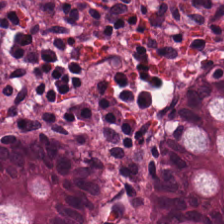Hematoxylin-and-eosin stained section. Tissue class — non-neoplastic colon mucosa.
